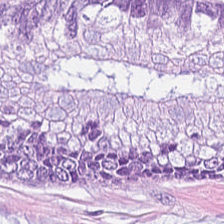Stain: H&E-stained tissue section.
Acquisition: WSI patch.
Tile size: 224×224 px patch.
Tissue type: extracellular mucin.
